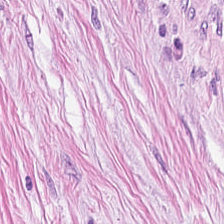Hematoxylin and eosin — Tumor stroma.
